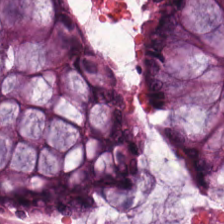Hematoxylin-and-eosin stained section. Predominantly non-neoplastic colon mucosa.
